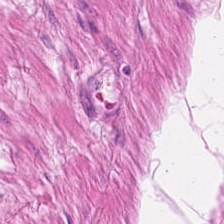WSI patch. FFPE tissue section. H&E.
The tissue here is smooth muscle.
